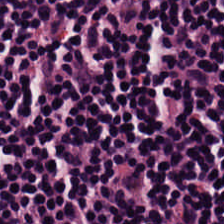H&E stain. This patch shows lymphocyte aggregate.
